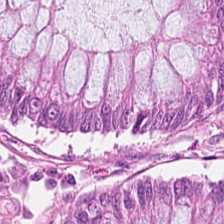Finding → benign colonic mucosa.
